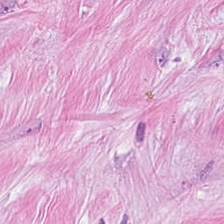H&E-stained tissue section showing tumor-associated stroma.
